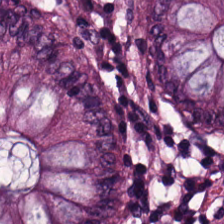Stain: hematoxylin and eosin.
Preparation: FFPE.
Tissue: benign colonic mucosa.
